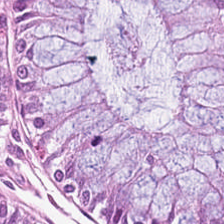H&E stain. {"tissue_type": "normal colonic mucosa"}
